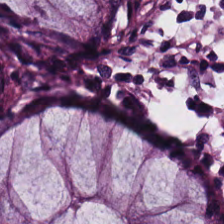224×224 px tile; hematoxylin-and-eosin stained section.
Classification = non-neoplastic colon mucosa.
